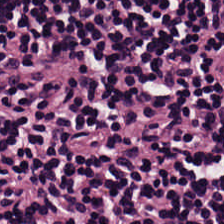Finding → lymphocytes.
